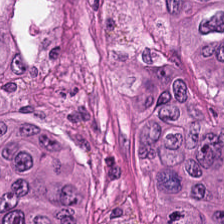Formalin-fixed paraffin-embedded section; 224×224 px patch; H&E-stained tissue section — Q: Classify this patch.
A: It is malignant epithelium.
